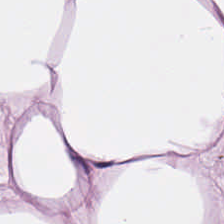Whole-slide-image patch. H&E stain. 20× equivalent magnification.
Q: Classify this patch.
A: This is adipose.
